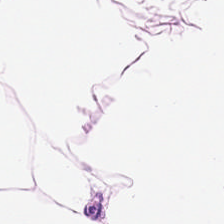H&E — {"tissue_type": "adipose tissue"}
